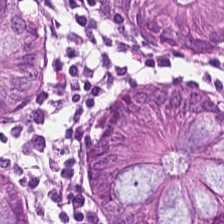H&E stain. Tissue type: non-neoplastic colon mucosa.
